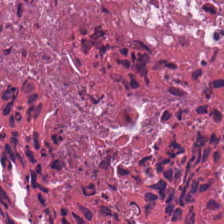Necrotic debris.
